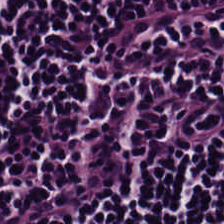Showing lymphocytes.
